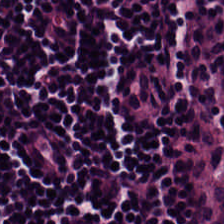FFPE; H&E stain. Histology — lymphocyte aggregate.
